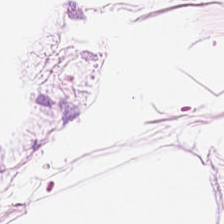H&E patch showing adipocytes.
